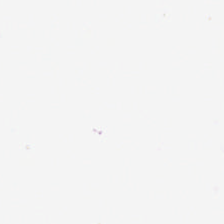Q: What does this patch show?
A: It is empty background.
